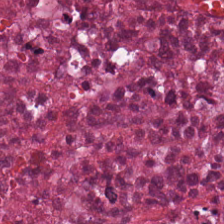This field is debris.
